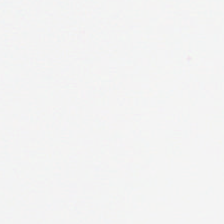H&E stain.
This patch shows background.
